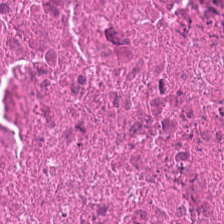H&E-stained section; the field shows debris.
